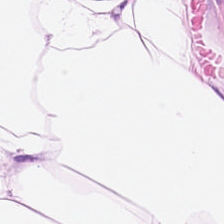H&E.
Adipose tissue.
